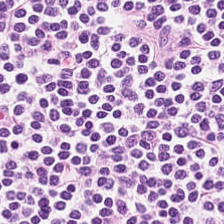Hematoxylin-and-eosin stained section.
Lymphocyte aggregate.
